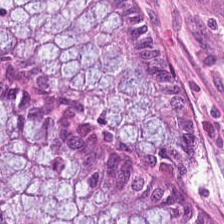Stain: hematoxylin and eosin.
Acquisition: WSI patch.
Tissue: normal colon mucosa.
